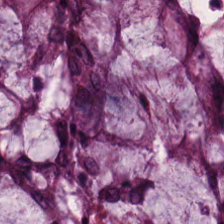H&E. Q: Classify this patch.
A: This is non-neoplastic colon mucosa.
